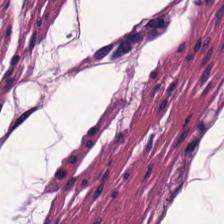Hematoxylin-and-eosin stained section. Q: What is shown in this field?
A: The field shows muscularis.
